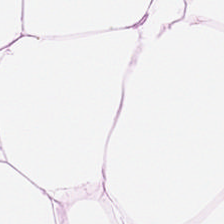224×224 pixel tile · hematoxylin and eosin · whole-slide-image patch. This field is adipose.
